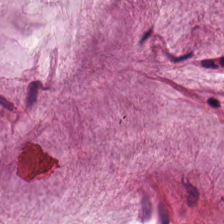224×224 pixel tile · hematoxylin and eosin. Q: What is shown here?
A: It is mucus.
